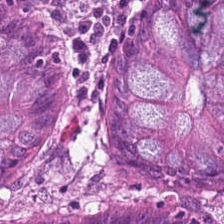Hematoxylin and eosin. Histology — benign colonic mucosa.
